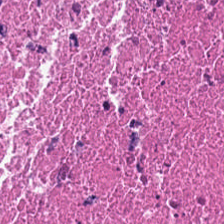Tissue class = debris.
